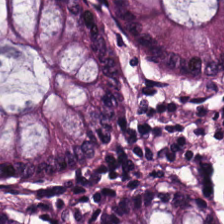Stain: H&E-stained tissue section.
Resolution: 0.5 µm per pixel.
Classification: non-neoplastic colon mucosa.
